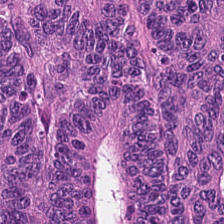The tissue is adenocarcinoma.
